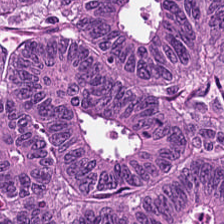FFPE; 224×224 px patch; hematoxylin and eosin — {"tissue_type": "colorectal adenocarcinoma"}
